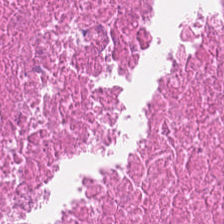Brightfield. Hematoxylin and eosin. Tissue class: cellular debris.
